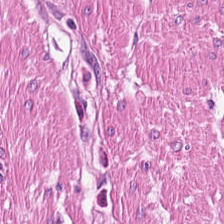Hematoxylin-and-eosin stained section — The tissue is muscularis.
